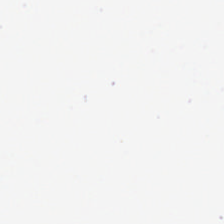H&E-stained tissue section — Empty field — no tissue.
